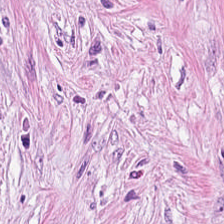H&E stain. Brightfield microscopy. 224×224 px patch. Histology → tumor stroma.
